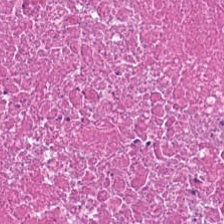Tissue = cellular debris.
